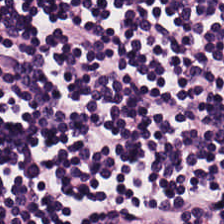The predominant tissue is lymphocytic infiltrate.
